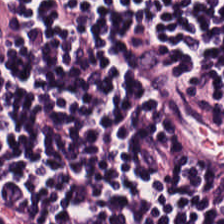The tissue here is lymphocyte aggregate.
